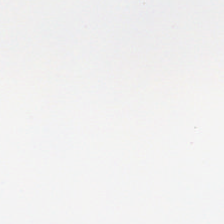224×224 px tile; WSI patch; hematoxylin-and-eosin stained section. This field is background (no tissue).
